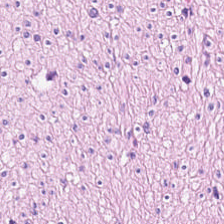H&E-stained tissue section; whole-slide-image patch.
{"tissue_type": "muscularis"}
